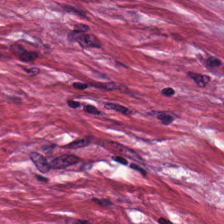Hematoxylin-and-eosin stained section. 224×224 pixel tile — Predominantly tumor-associated stroma.
